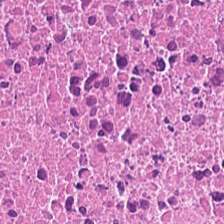Brightfield · hematoxylin-and-eosin stained section. Debris.
